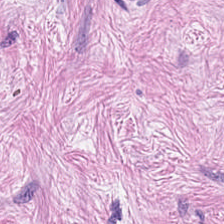This patch shows tumor-associated stroma.
